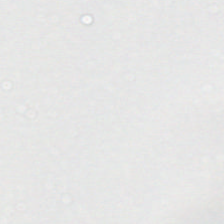224×224 px patch. Hematoxylin and eosin. This field is background (no tissue).
